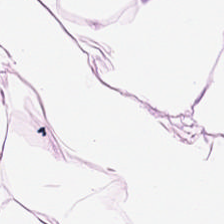Finding — adipose.
